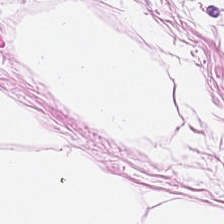The tissue type is adipose tissue.
